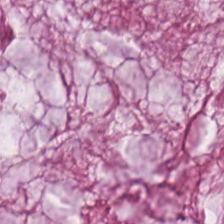Stain: hematoxylin-and-eosin stained section.
Tissue: extracellular mucin.
